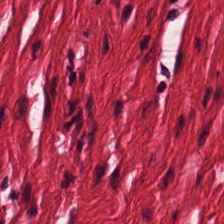H&E.
The tissue here is muscularis.
